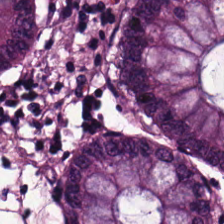H&E. FFPE tissue section.
The predominant tissue is non-neoplastic colon mucosa.
